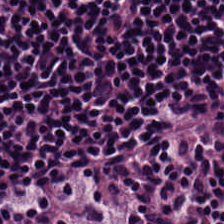Classification = lymphocytic infiltrate.
